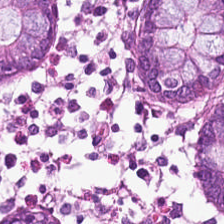Brightfield · hematoxylin and eosin. Q: Classify this patch.
A: It is non-neoplastic colon mucosa.
